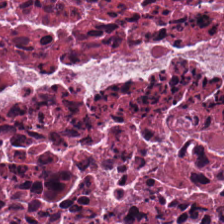Hematoxylin-and-eosin stained section; whole-slide-image patch.
The predominant tissue is debris.
